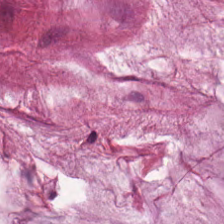224×224 px tile · H&E stain.
Histology — extracellular mucin.
